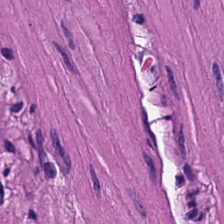H&E-stained tissue section showing smooth muscle.
